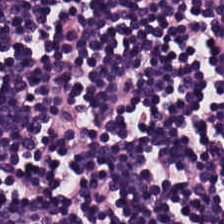This patch shows lymphoid infiltrate.
